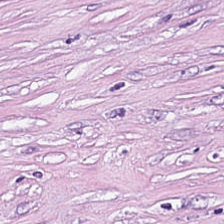Stain: H&E-stained tissue section.
Predominant tissue: desmoplastic stroma.
